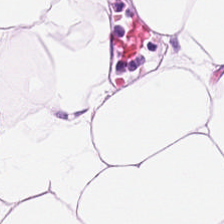Brightfield microscopy; H&E-stained tissue section; FFPE tissue section. This field is adipocytes.
